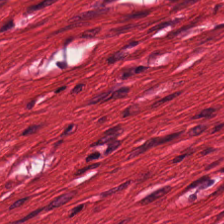H&E-stained tissue section. {"tissue_type": "smooth muscle"}
